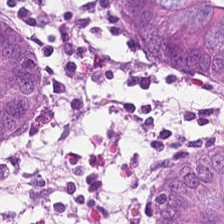H&E-stained tissue section. Q: Classify this patch.
A: Normal colonic mucosa.
